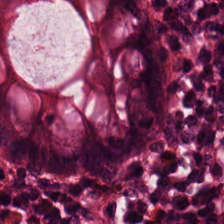H&E — Q: What type of tissue is this?
A: It is non-neoplastic colon mucosa.
